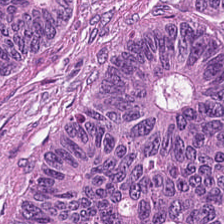FFPE tissue section. H&E-stained tissue section.
Malignant epithelium.
